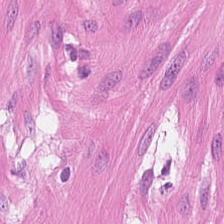H&E stain.
Finding — smooth muscle.
